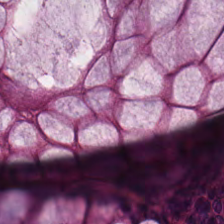The tissue type is normal colon mucosa.
